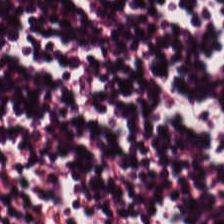Q: What does this patch show?
A: This is lymphocytic infiltrate.
